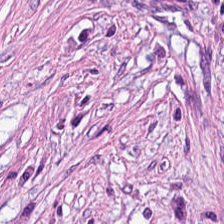WSI patch; hematoxylin and eosin. Tissue class: desmoplastic stroma.
